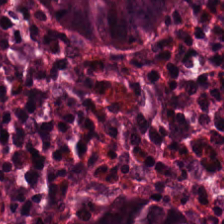Whole-slide-image patch; H&E-stained tissue section — The predominant tissue is normal colon mucosa.
